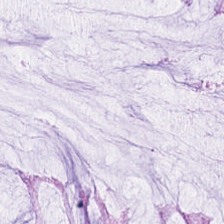H&E.
Showing benign colonic mucosa.
